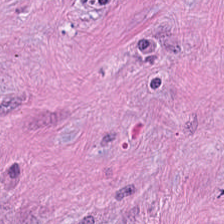H&E. The tissue is desmoplastic stroma.
